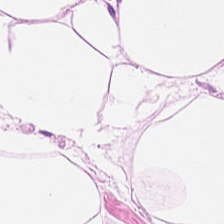Brightfield · FFPE · H&E-stained tissue section. Fat tissue.
